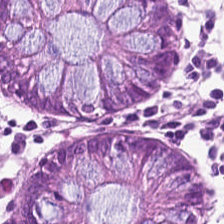H&E-stained tissue section; FFPE tissue section. Predominantly normal colonic mucosa.
